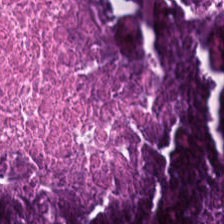20× equivalent magnification · 224×224 px patch · H&E-stained tissue section — Q: What does this patch show?
A: The field shows necrotic debris.
